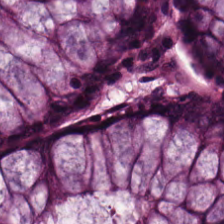Hematoxylin and eosin. The predominant tissue is normal colonic mucosa.
